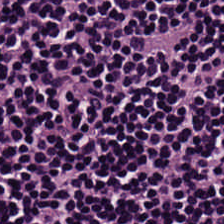Whole-slide-image patch. H&E stain. 0.5 µm/px — This patch shows lymphoid infiltrate.
